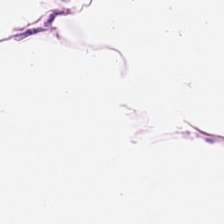H&E stain. Histology → adipocytes.
